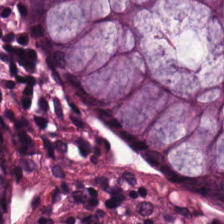Stain: H&E-stained tissue section.
Acquisition: brightfield microscopy.
Tissue: benign colonic mucosa.
